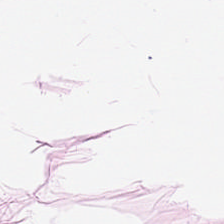This patch shows adipose.
